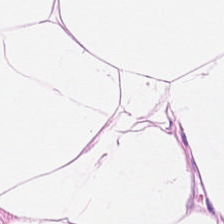FFPE tissue section · 224×224 pixel tile · hematoxylin-and-eosin stained section. The tissue class is adipocytes.
